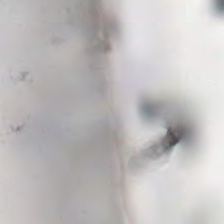Hematoxylin and eosin.
{"content": "empty background"}
